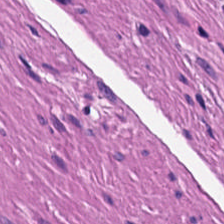Stain: H&E.
Predominant tissue: smooth-muscle tissue.
